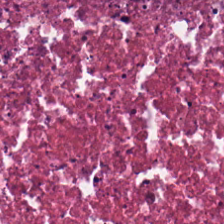Hematoxylin-and-eosin stained section — This patch shows necrotic debris.
